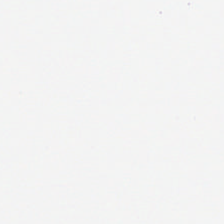H&E-stained tissue section; FFPE — Empty background.
